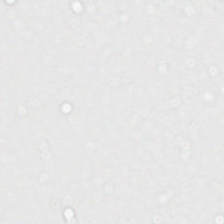Hematoxylin-and-eosin stained section. Classification: background (no tissue).
